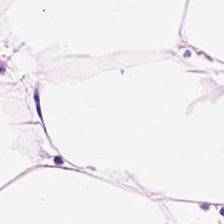Predominantly adipose tissue.
